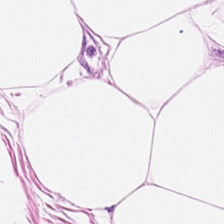{"tissue_type": "adipose tissue"}
